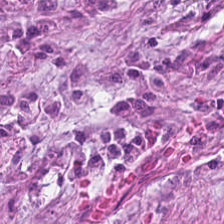Hematoxylin and eosin. This field is desmoplastic stroma.
